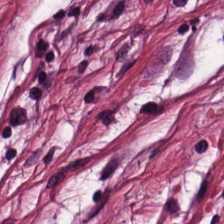Stain: hematoxylin and eosin.
Resolution: 0.5 µm per pixel.
Tissue class: tumor-associated stroma.
